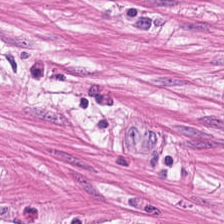224×224 pixel tile. H&E.
Predominant tissue — muscularis.
